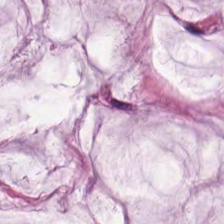Predominantly mucin.
